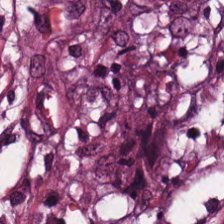H&E-stained tissue section — Showing desmoplastic stroma.
